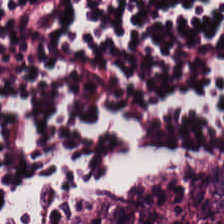H&E. 20× equivalent magnification.
Lymphocytes.
